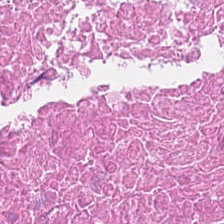Hematoxylin and eosin. FFPE. Impression — debris.
